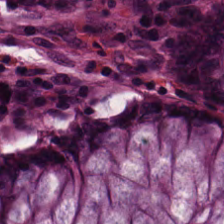{"tissue_type": "non-neoplastic colon mucosa"}
